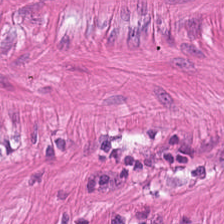This field is smooth-muscle tissue.
